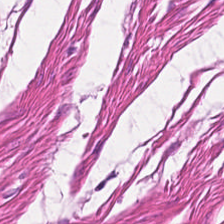{"tissue_type": "smooth-muscle tissue"}
